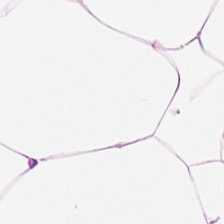H&E; WSI patch.
Adipose.
